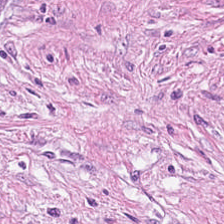Whole-slide-image patch; hematoxylin-and-eosin stained section.
Classification = tumor-associated stroma.
